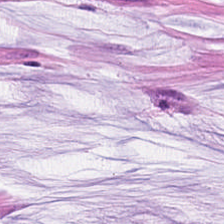Stain: H&E stain.
Classification: mucus.
